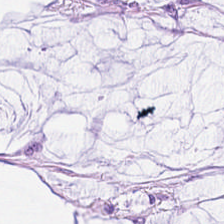Hematoxylin-and-eosin stained section.
Q: What tissue type is shown here?
A: It is mucin.
